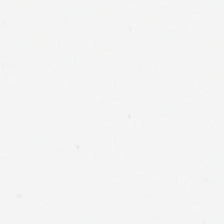H&E · 0.5 µm per pixel.
No tissue present; background only.
